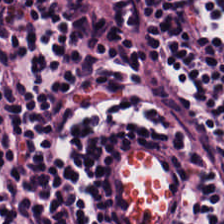H&E. Tissue type: lymphocytic infiltrate.
